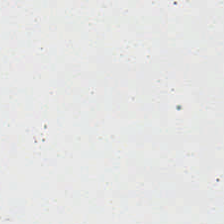Hematoxylin and eosin; 224×224 px tile.
Q: What does this patch show?
A: This is no tissue.
